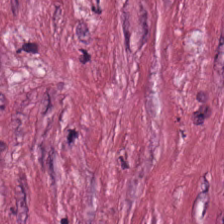H&E-stained tissue section. Tissue class = desmoplastic stroma.
